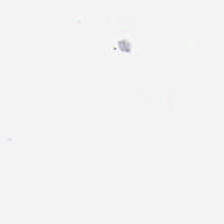H&E-stained tissue section; FFPE.
Field content — background.
